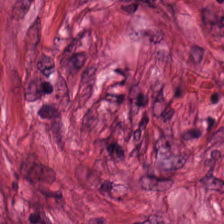H&E-stained tissue section; brightfield. Tissue type: desmoplastic stroma.
